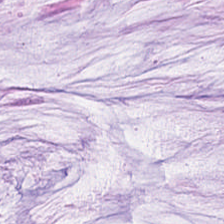Stain: hematoxylin-and-eosin stained section.
Acquisition: brightfield microscopy.
Tissue: mucus.
